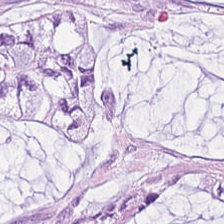H&E-stained tissue section. Formalin-fixed paraffin-embedded section. Whole-slide-image patch — Histology — mucus.
